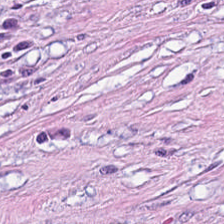Stain: H&E-stained tissue section.
Tissue class: desmoplastic stroma.
